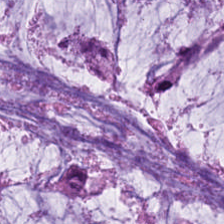The tissue class is mucus.
